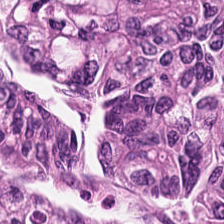Hematoxylin and eosin — This patch shows colorectal adenocarcinoma epithelium.
